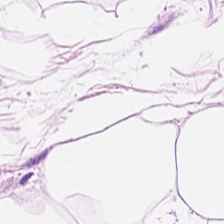H&E-stained tissue section. Adipose tissue.
